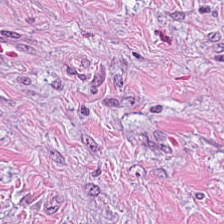H&E-stained tissue section. {"tissue_type": "cancer-associated stroma"}
